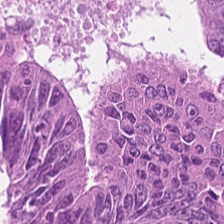0.5 µm per pixel. H&E stain. Brightfield.
The tissue here is malignant epithelium.
